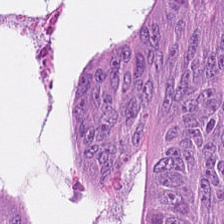WSI patch; H&E stain. The predominant tissue is malignant epithelium.
